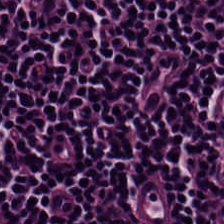WSI patch. H&E. 224×224 pixel tile. Impression → lymphocytes.
